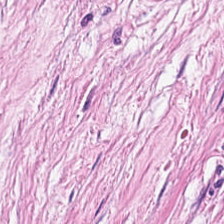H&E stain. Q: What is the predominant tissue type?
A: This is cancer-associated stroma.
